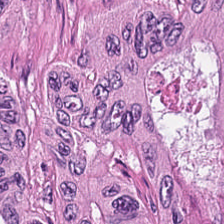Stain: H&E-stained tissue section.
Tile size: 224×224 px tile.
Classification: colorectal adenocarcinoma epithelium.
